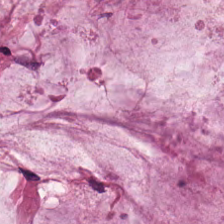Stain: hematoxylin and eosin.
Classification: extracellular mucin.
